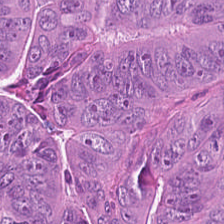Hematoxylin and eosin — This field is colorectal adenocarcinoma epithelium.
